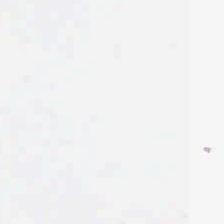Empty field — no tissue.
